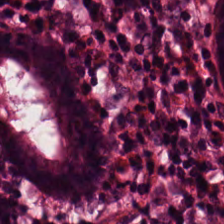H&E — This patch shows benign colonic mucosa.
